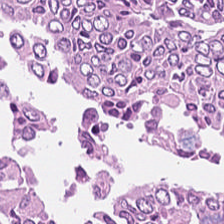20× equivalent magnification; hematoxylin-and-eosin stained section — Tissue — tumor epithelium.
